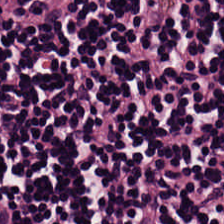H&E stain.
{"tissue_type": "lymphocytic infiltrate"}
